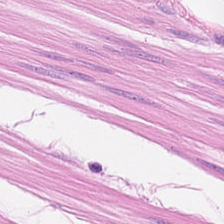H&E.
Histology — smooth muscle.
